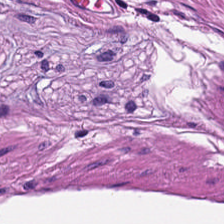H&E — Tissue — smooth-muscle tissue.
